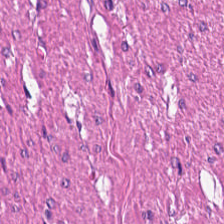Stain: H&E.
Tile size: 224×224 px patch.
Preparation: FFPE tissue section.
Tissue: muscularis.
